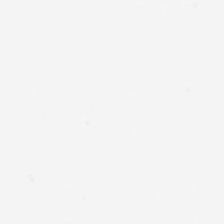The field content is empty background.
